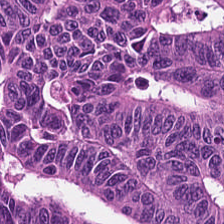H&E · 0.5 µm per pixel. The predominant tissue is colorectal adenocarcinoma.
